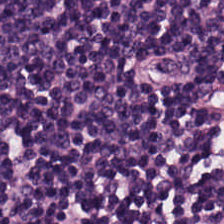H&E. Q: Identify the tissue.
A: The field shows lymphoid infiltrate.
